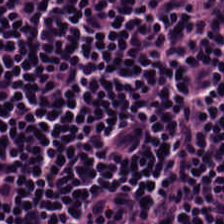Predominantly lymphocytic infiltrate.
